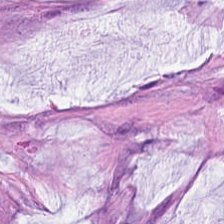Hematoxylin and eosin.
Predominant tissue — mucin.
